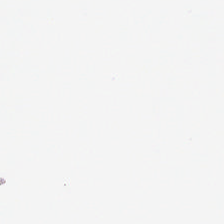H&E — Background.
